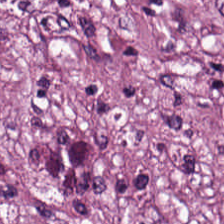Hematoxylin and eosin · FFPE · brightfield microscopy.
Impression → desmoplastic stroma.
